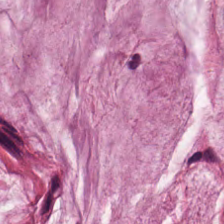H&E stain — Histology → mucus.
